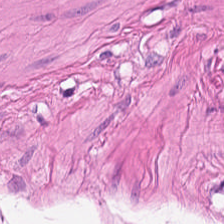Hematoxylin-and-eosin stained section. 224×224 pixel tile. Whole-slide-image patch — The predominant tissue is smooth muscle.
